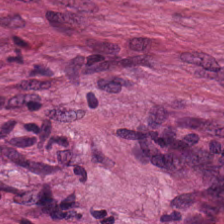H&E stain. Classification — desmoplastic stroma.
